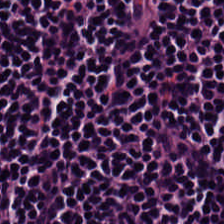Hematoxylin and eosin; formalin-fixed paraffin-embedded section. Tissue: lymphocytes.
